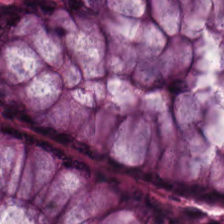FFPE tissue section. H&E-stained tissue section. 0.5 microns per pixel. Predominantly benign colonic mucosa.
